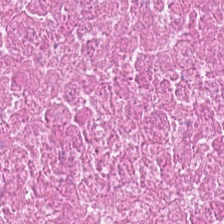Classification: necrotic debris.
